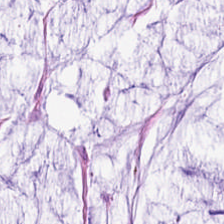FFPE; H&E — Tissue = mucus.
